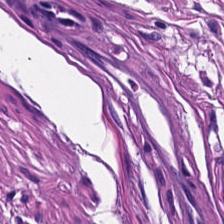H&E · 0.5 microns per pixel. Predominant tissue: smooth muscle.
